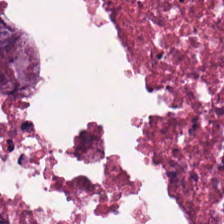Predominantly debris.
